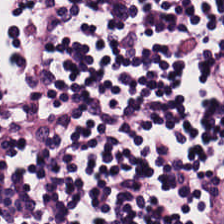Hematoxylin-and-eosin stained section. The predominant tissue is lymphocytes.
